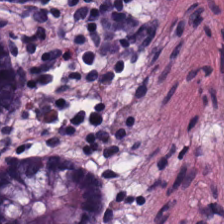FFPE · hematoxylin and eosin · 224×224 pixel tile. Benign colonic mucosa.
